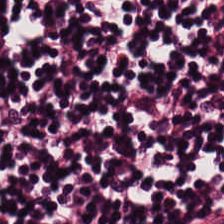Q: Classify this patch.
A: It is lymphocytic infiltrate.
